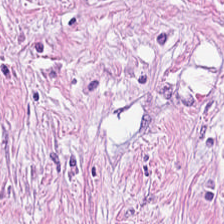Q: What is the predominant tissue type?
A: It is tumor-associated stroma.
